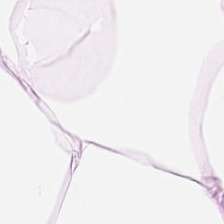Stain: hematoxylin-and-eosin stained section.
Predominant tissue: adipocytes.
